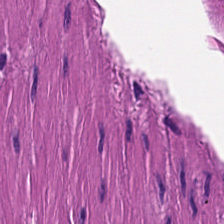224×224 pixel tile; H&E-stained tissue section — Impression — smooth-muscle tissue.
